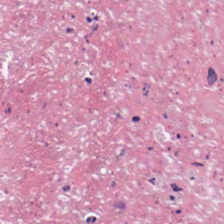H&E stain.
Q: What tissue type is shown here?
A: The field shows cellular debris.
